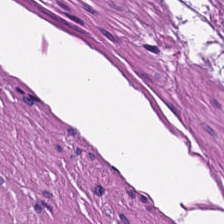{"tissue_type": "smooth muscle"}
